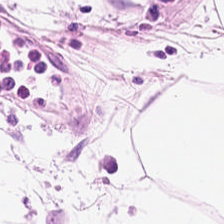224×224 pixel tile. H&E-stained tissue section. Brightfield.
Predominantly adipocytes.
